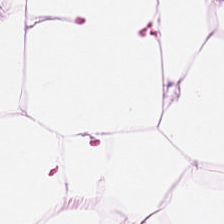Predominantly fat tissue.
